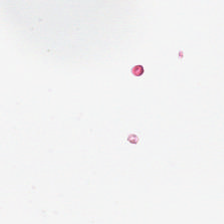Hematoxylin-and-eosin stained section. 0.5 microns per pixel. FFPE tissue section — Classification — background (no tissue).
